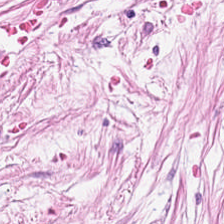Hematoxylin and eosin.
Tissue type: tumor stroma.
